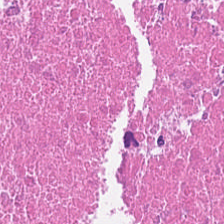Stain: H&E stain.
Tile size: 224×224 px tile.
Classification: debris.
